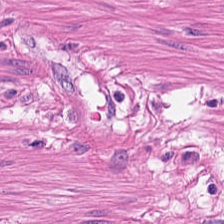H&E stain. Tissue class — muscularis.
